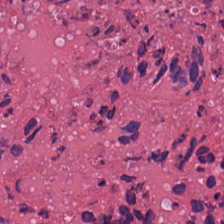Hematoxylin-and-eosin stained section — {"tissue_type": "debris"}
